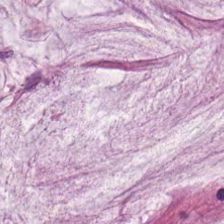FFPE tissue section. 224×224 px patch. Hematoxylin and eosin — Tissue = mucus.
